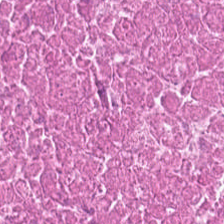Brightfield · hematoxylin and eosin. Q: What type of tissue is this?
A: It is necrotic debris.
